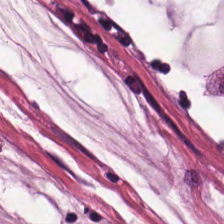H&E-stained tissue section. Brightfield microscopy — Tissue = extracellular mucin.
